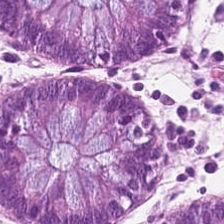Q: What type of tissue is this?
A: It is benign colonic mucosa.
